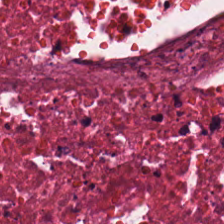Stain: hematoxylin-and-eosin stained section.
Tissue type: cellular debris.
